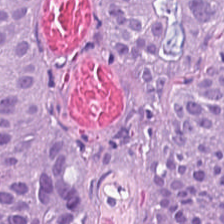Stain: H&E.
Acquisition: whole-slide-image patch.
Classification: tumor epithelium.
